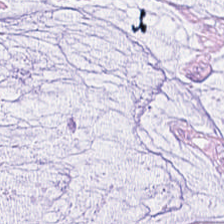0.5 µm/px; 224×224 px patch; H&E stain.
Q: Classify this patch.
A: This is mucin.
